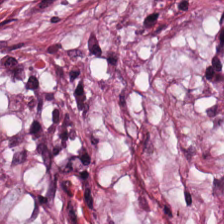H&E stain.
Q: What tissue is shown?
A: This is cancer-associated stroma.
